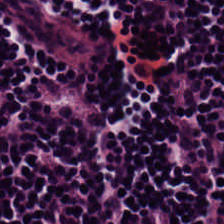Q: What is shown in this field?
A: The field shows lymphocytic infiltrate.
